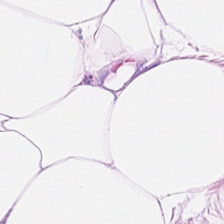Fat tissue.
